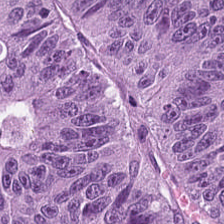H&E; whole-slide-image patch. {"tissue_type": "colorectal adenocarcinoma"}
